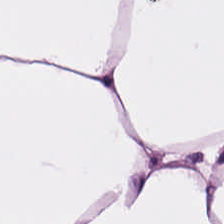H&E stain. 224×224 px patch — The predominant tissue is adipose.
